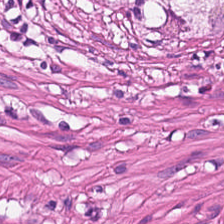H&E-stained tissue section. Q: Identify the tissue.
A: The field shows muscularis.
